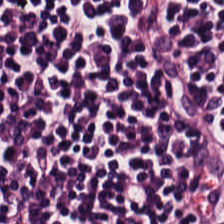Hematoxylin and eosin. Q: Identify the tissue.
A: It is lymphocytic infiltrate.
